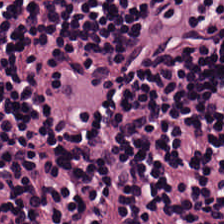Tissue type = lymphocytic infiltrate.
